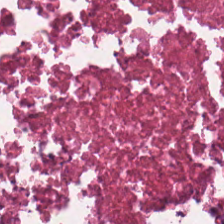H&E-stained tissue section — Classification = cellular debris.
